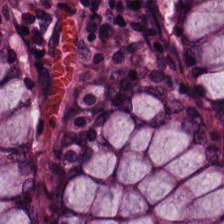Stain: H&E stain.
Resolution: 0.5 µm/px.
Tissue class: normal colon mucosa.
